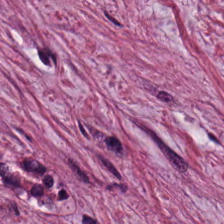Hematoxylin and eosin.
Classification — tumor-associated stroma.
